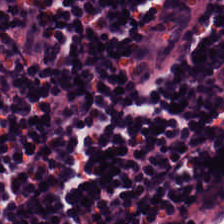Stain: hematoxylin and eosin.
Resolution: 0.5 µm/px.
Tissue type: lymphocytes.
